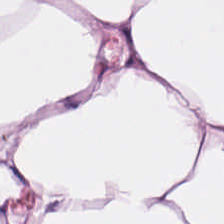Stain: H&E-stained tissue section.
Tissue: adipose tissue.
